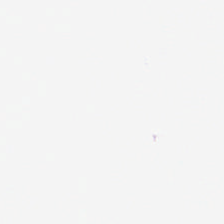H&E stain. Classification — empty background.
